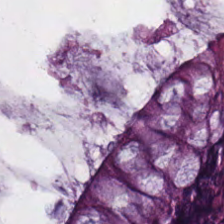H&E.
Predominant tissue — non-neoplastic colon mucosa.
